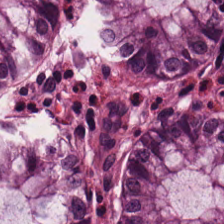Hematoxylin and eosin — Q: Classify this patch.
A: It is benign colonic mucosa.
